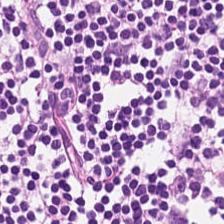Stain: H&E.
Predominant tissue: lymphocytic infiltrate.
